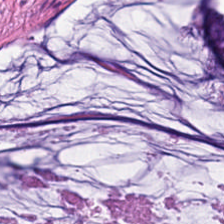20× equivalent magnification. H&E-stained tissue section. Extracellular mucin.
